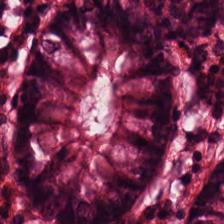H&E stain. Q: What is shown here?
A: This is normal colonic mucosa.
